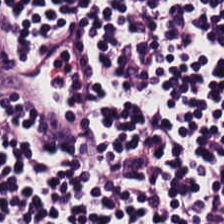Tissue class: lymphoid infiltrate.
